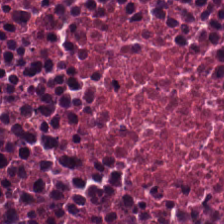{"tissue_type": "debris"}
